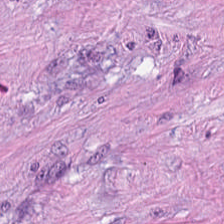Hematoxylin-and-eosin stained section; FFPE — Q: What does this patch show?
A: The field shows tumor stroma.
